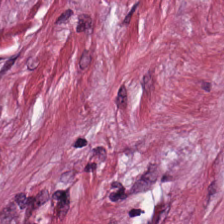Classification — tumor stroma.
